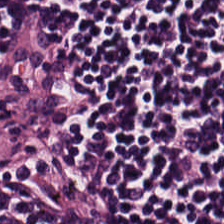Stain: H&E-stained tissue section.
Predominant tissue: lymphoid infiltrate.
